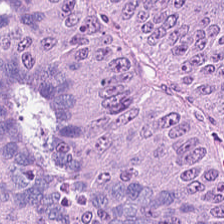Q: Identify the tissue.
A: Adenocarcinoma.
